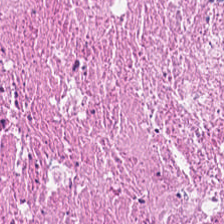Stain: hematoxylin-and-eosin stained section.
Preparation: FFPE.
Tile size: 224×224 px tile.
Classification: cellular debris.
